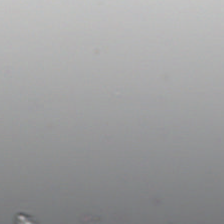Stain: hematoxylin and eosin.
Preparation: formalin-fixed paraffin-embedded section.
Classification: no tissue.
